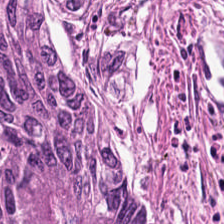Classification — colorectal adenocarcinoma epithelium.
